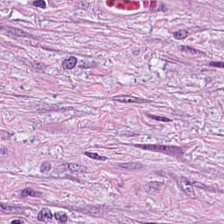Stain: H&E.
Predominant tissue: cancer-associated stroma.
